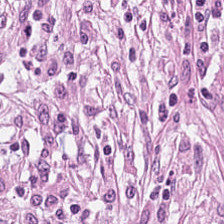20× equivalent magnification · hematoxylin-and-eosin stained section — Predominantly tumor-associated stroma.
